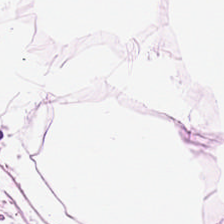H&E-stained tissue section — This patch shows fat tissue.
